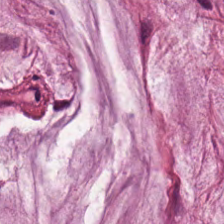Stain: H&E stain.
Tile size: 224×224 px tile.
Tissue type: mucus.
